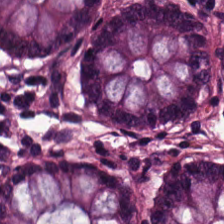The classification is non-neoplastic colon mucosa.
